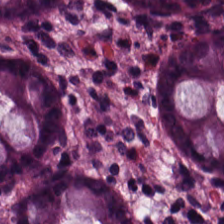Hematoxylin-and-eosin stained section. {"tissue_type": "normal colonic mucosa"}
